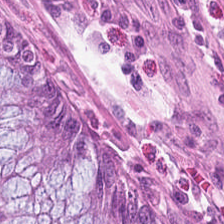Q: What is shown in this field?
A: Normal colon mucosa.
